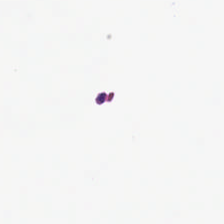20× equivalent magnification · H&E · 224×224 px patch.
{"content": "no tissue"}
